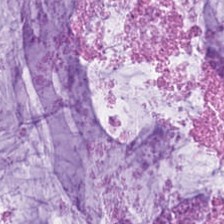FFPE tissue section; H&E stain. Q: Classify this patch.
A: Mucin.
